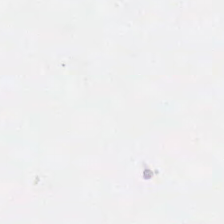Hematoxylin-and-eosin stained section. Brightfield. 20× equivalent magnification. Histology — background.
